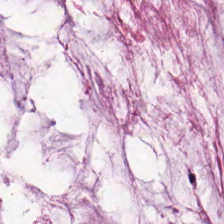FFPE · 224×224 px patch · hematoxylin-and-eosin stained section — The predominant tissue is mucus.
